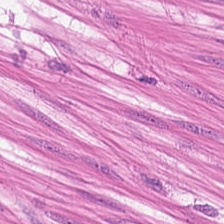0.5 µm per pixel · hematoxylin and eosin · FFPE.
Tissue — smooth-muscle tissue.
